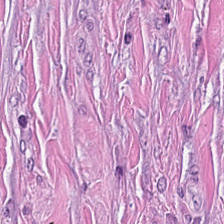Hematoxylin and eosin; FFPE tissue section.
Predominantly tumor stroma.
